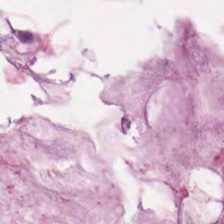H&E-stained tissue section. Predominantly extracellular mucin.
